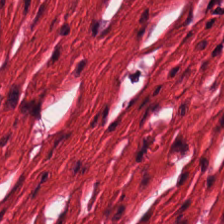Stain: H&E stain.
Preparation: FFPE tissue section.
Resolution: 20× equivalent magnification.
Classification: smooth-muscle tissue.
